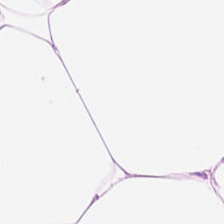H&E. Predominantly adipocytes.
